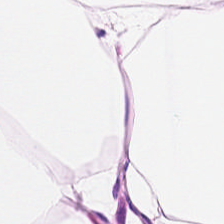H&E.
Tissue type — adipose.
